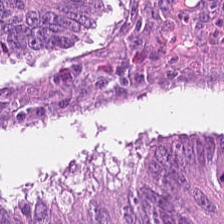Hematoxylin and eosin. Q: Identify the tissue.
A: Malignant epithelium.
